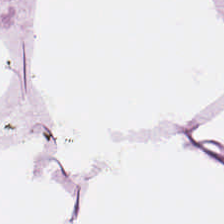H&E. The predominant tissue is fat tissue.
